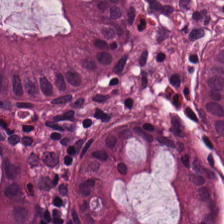Hematoxylin-and-eosin stained section. 224×224 px tile. Brightfield microscopy.
Predominantly normal colonic mucosa.
